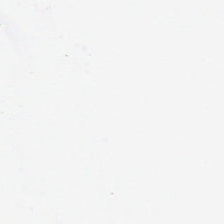Hematoxylin and eosin.
Impression — empty background.
